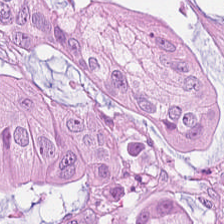Stain: hematoxylin-and-eosin stained section.
Tissue type: adenocarcinoma.
